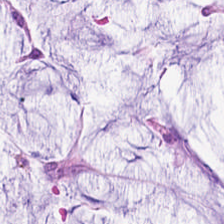WSI patch · H&E stain. Q: What is shown here?
A: This is mucus.
